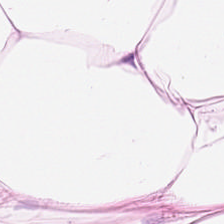Hematoxylin-and-eosin stained section.
Impression — adipose tissue.
